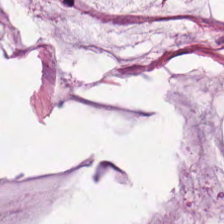Predominantly mucin.
